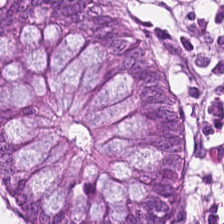H&E-stained tissue section · 224×224 pixel tile · 0.5 µm/px.
Q: What does this patch show?
A: Normal colonic mucosa.
